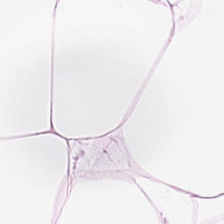Hematoxylin-and-eosin stained section. Histology → fat tissue.
